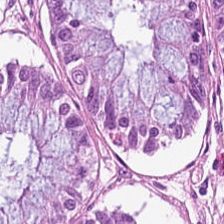H&E. 0.5 µm/px.
Benign colonic mucosa.
